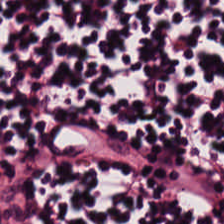H&E stain.
The predominant tissue is lymphocytic infiltrate.
